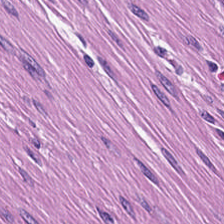Hematoxylin-and-eosin stained section. The predominant tissue is smooth muscle.
